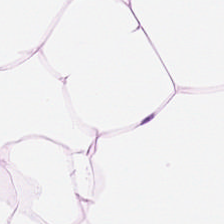20× equivalent magnification · H&E stain. The classification is adipose.
